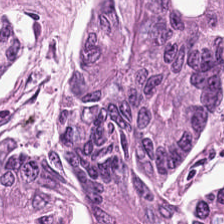H&E-stained tissue section showing adenocarcinoma.
